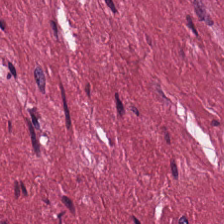WSI patch · 0.5 microns per pixel · H&E. This patch shows desmoplastic stroma.
